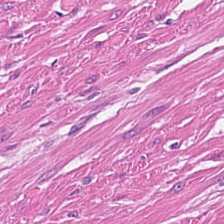Impression — smooth-muscle tissue.
